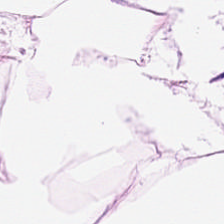H&E-stained tissue section showing adipocytes.
